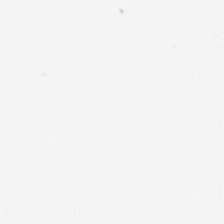Stain: hematoxylin and eosin.
Content: background (no tissue).
